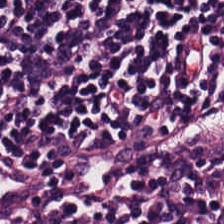224×224 px tile. H&E stain. Finding — lymphocytic infiltrate.
